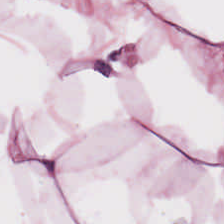H&E stain · 224×224 px patch. Showing fat tissue.
